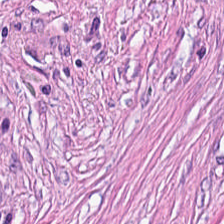0.5 µm per pixel. H&E stain — Finding — tumor stroma.
